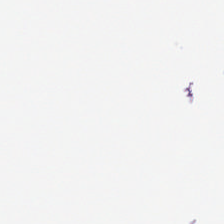H&E — Q: What is shown here?
A: This is background (no tissue).
